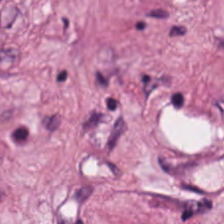Stain: H&E stain.
Tissue class: tumor stroma.
